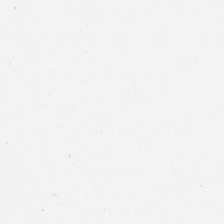The field content is empty background.
